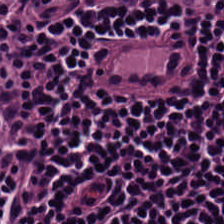Hematoxylin and eosin. The classification is lymphoid infiltrate.
